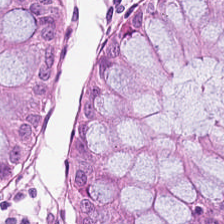Hematoxylin-and-eosin stained section. Classification: non-neoplastic colon mucosa.
